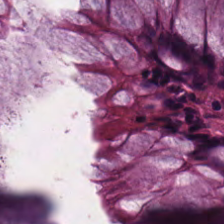H&E stain. Benign colonic mucosa.
